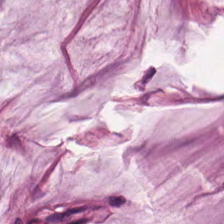Predominant tissue: mucus.
